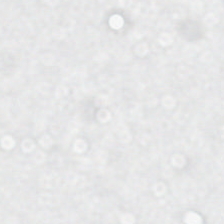Hematoxylin and eosin.
Content = no tissue.
